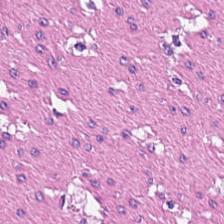0.5 µm per pixel. H&E-stained tissue section — Q: What is shown here?
A: It is smooth-muscle tissue.
